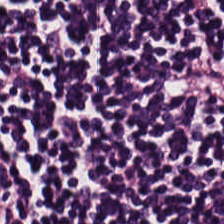Stain: hematoxylin-and-eosin stained section.
Acquisition: WSI patch.
Tissue type: lymphocytic infiltrate.
